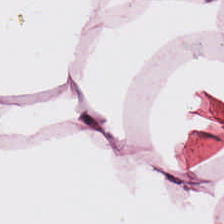Hematoxylin and eosin. Finding → adipose tissue.
